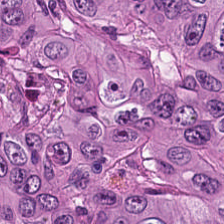Stain: H&E stain.
Tissue type: colorectal adenocarcinoma.
